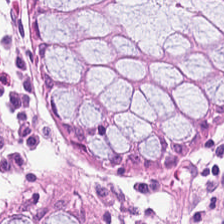0.5 µm/px. H&E stain. {"tissue_type": "normal colonic mucosa"}
